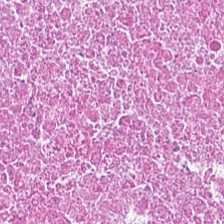The tissue type is debris.
